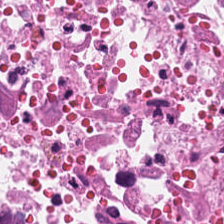Stain: H&E.
Predominant tissue: necrotic debris.
